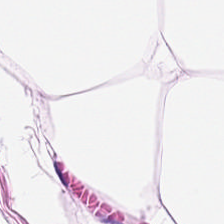20× equivalent magnification · hematoxylin-and-eosin stained section. The classification is adipose.
